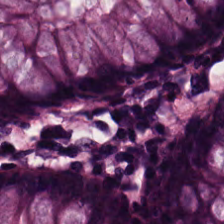H&E stain — Impression — benign colonic mucosa.
